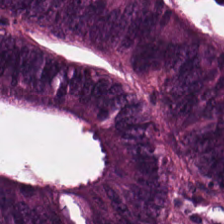H&E · 20× equivalent magnification · formalin-fixed paraffin-embedded section. Histology — tumor epithelium.
